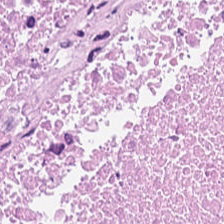H&E-stained tissue section; 224×224 px patch. This field is debris.
